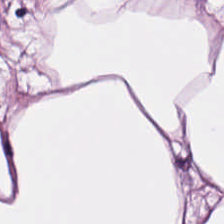Formalin-fixed paraffin-embedded section. H&E stain. Tissue = adipose tissue.
